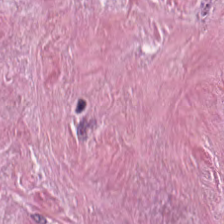H&E-stained section; the field shows tumor-associated stroma.
